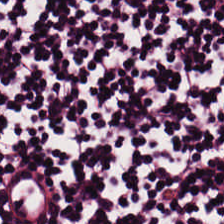Q: Identify the tissue.
A: This is lymphoid infiltrate.
